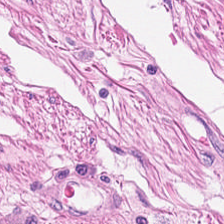H&E · brightfield · 224×224 px patch.
Smooth muscle.
